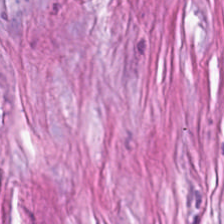Hematoxylin-and-eosin stained section · 20× equivalent magnification — The tissue is desmoplastic stroma.
